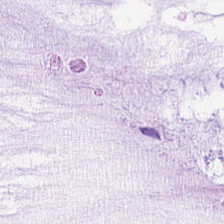Hematoxylin-and-eosin stained section. Whole-slide-image patch — This patch shows mucin.
